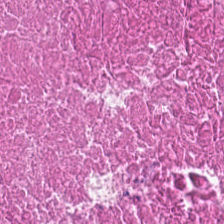H&E stain. The predominant tissue is cellular debris.
